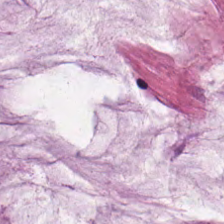H&E; FFPE tissue section. The tissue here is extracellular mucin.
